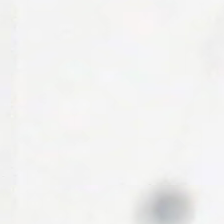Hematoxylin and eosin — This patch shows background.
